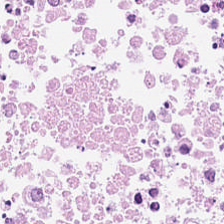The predominant tissue is necrotic debris.
